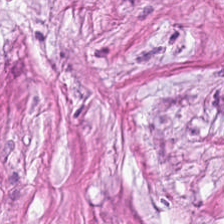Stain: H&E.
Tissue type: tumor-associated stroma.
